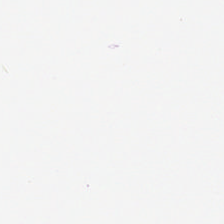Hematoxylin-and-eosin stained section.
This patch shows empty background.
